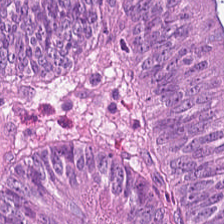H&E · 0.5 µm/px · 224×224 pixel tile. {"tissue_type": "colorectal adenocarcinoma"}
